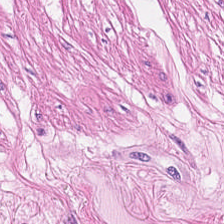{"tissue_type": "smooth-muscle tissue"}
